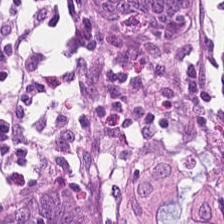Hematoxylin-and-eosin stained section; 224×224 px patch — Showing normal colonic mucosa.
